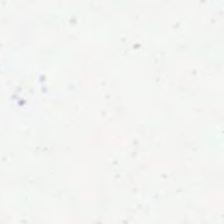0.5 µm/px · hematoxylin and eosin. {"content": "empty background"}
